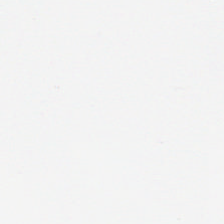Classification = empty background.
